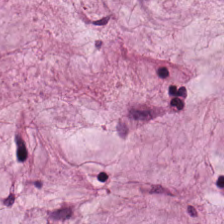H&E stain · 224×224 px tile · FFPE.
The tissue is extracellular mucin.
